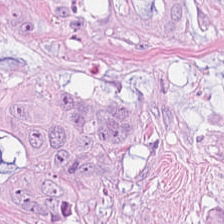H&E-stained tissue section. Brightfield microscopy — Q: Classify this patch.
A: The field shows malignant epithelium.
